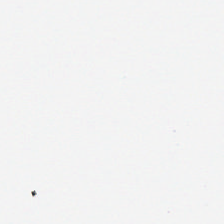Stain: hematoxylin and eosin.
Resolution: 20× equivalent magnification.
Classification: no tissue.
